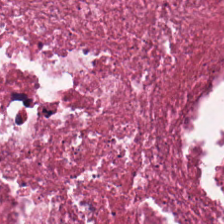224×224 px tile · FFPE · H&E stain. The tissue here is debris.
